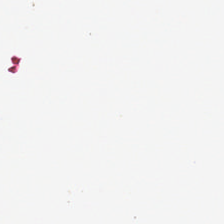Hematoxylin-and-eosin stained section. Brightfield. 0.5 µm/px. Field content — background (no tissue).
